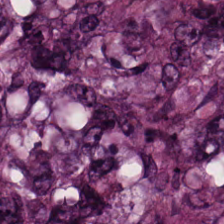224×224 px tile · H&E · whole-slide-image patch.
This field is malignant epithelium.
